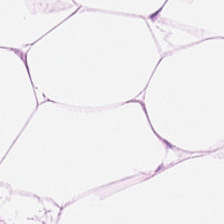H&E stain. Predominant tissue = adipose.
